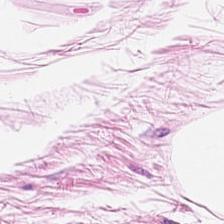Hematoxylin-and-eosin stained section — Adipose.
